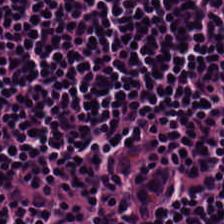0.5 µm/px; H&E — Finding — lymphocytic infiltrate.
